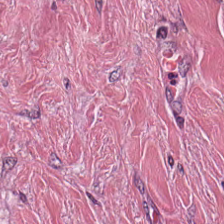Formalin-fixed paraffin-embedded section · H&E stain.
The tissue here is tumor-associated stroma.
